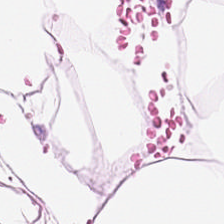H&E stain; FFPE; WSI patch. Classification — adipocytes.
